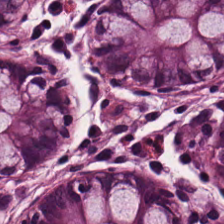Hematoxylin-and-eosin stained section — Q: What tissue is shown?
A: It is normal colonic mucosa.
